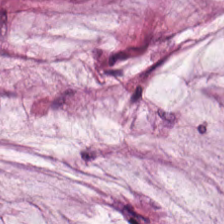Hematoxylin and eosin. The predominant tissue is mucus.
